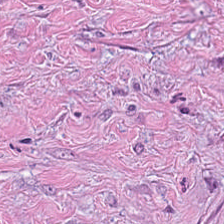Hematoxylin and eosin. Predominant tissue — tumor-associated stroma.
